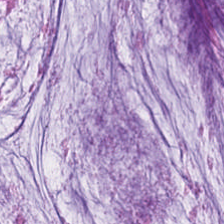0.5 microns per pixel · brightfield microscopy · H&E.
The tissue here is mucin.
